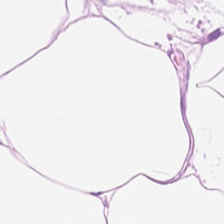Hematoxylin-and-eosin stained section — This field is fat tissue.
